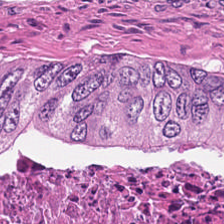H&E — Histology → cellular debris.
